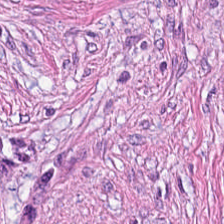H&E · 0.5 µm per pixel · formalin-fixed paraffin-embedded section.
Cancer-associated stroma.
